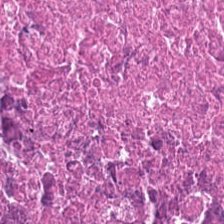Hematoxylin-and-eosin stained section. Impression — cellular debris.
